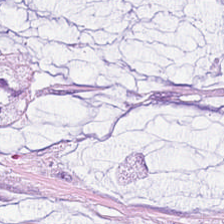H&E-stained tissue section. This field is extracellular mucin.
